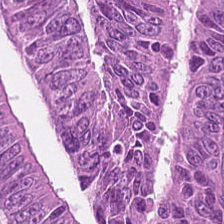H&E — tumor epithelium.
